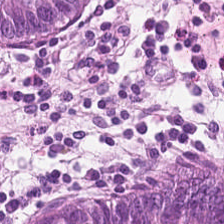Stain: hematoxylin and eosin.
Tissue class: non-neoplastic colon mucosa.
